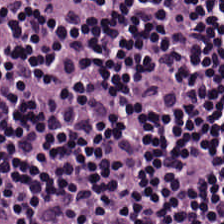H&E · 20× equivalent magnification.
Showing lymphoid infiltrate.
